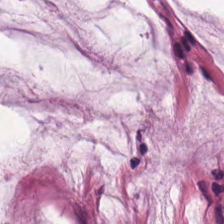The tissue class is mucin.
